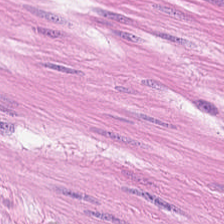Hematoxylin-and-eosin stained section. Predominant tissue — smooth-muscle tissue.
